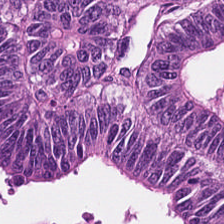H&E stain; 224×224 px tile.
Predominant tissue — malignant epithelium.
